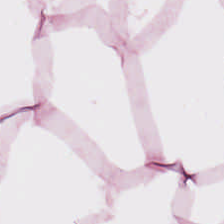H&E-stained tissue section — Predominantly adipose.
